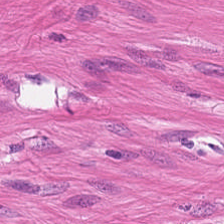H&E.
This patch shows smooth muscle.
